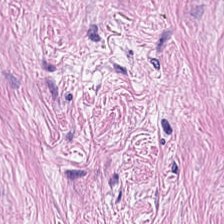The predominant tissue is cancer-associated stroma.
